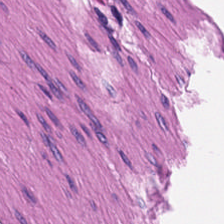H&E-stained tissue section — This patch shows muscularis.
